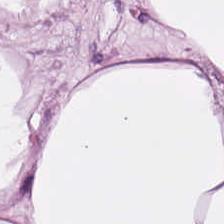H&E. Adipocytes.
